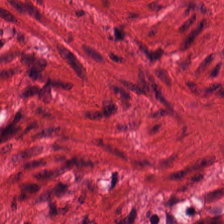0.5 microns per pixel. H&E stain. Brightfield — Showing smooth muscle.
